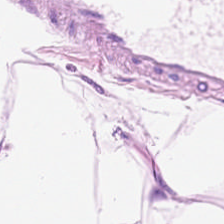224×224 pixel tile. FFPE. H&E stain — Fat tissue.
